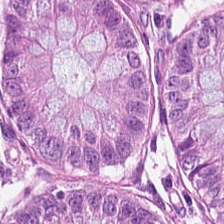WSI patch · H&E — Predominant tissue: normal colonic mucosa.
